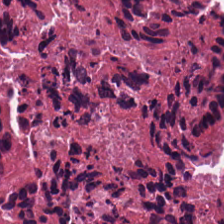H&E stain — This patch shows cellular debris.
